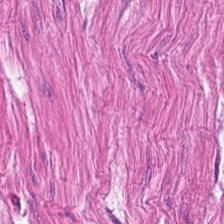H&E-stained tissue section — The predominant tissue is smooth muscle.
